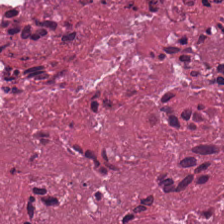Hematoxylin-and-eosin stained section. FFPE. WSI patch. {"tissue_type": "necrotic debris"}
